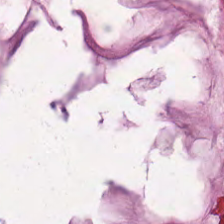Stain: hematoxylin and eosin.
Tissue: extracellular mucin.
